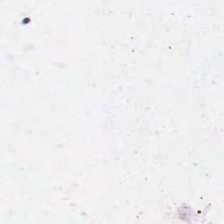H&E-stained tissue section.
The content is empty background.
